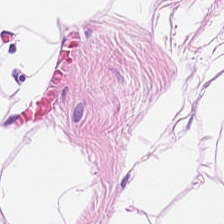Brightfield microscopy · hematoxylin and eosin.
Showing adipose tissue.
